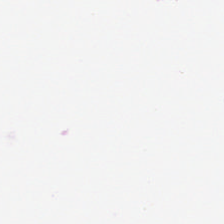Q: Classify this patch.
A: This is no tissue.
